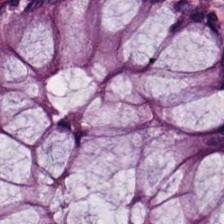The tissue here is normal colonic mucosa.
